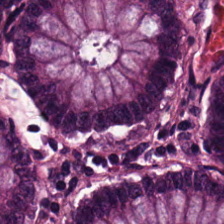Hematoxylin-and-eosin stained section · 224×224 pixel tile · 0.5 µm/px — Tissue type: benign colonic mucosa.
